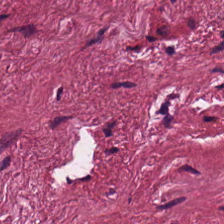Whole-slide-image patch · H&E stain. Predominantly tumor-associated stroma.
